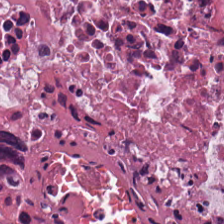Stain: H&E-stained tissue section.
Tile size: 224×224 px patch.
Acquisition: brightfield microscopy.
Classification: debris.
